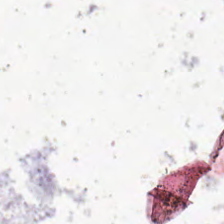H&E — Empty field — background (no tissue).
